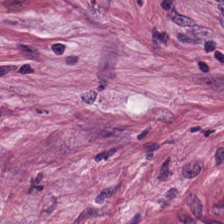224×224 pixel tile · H&E-stained tissue section. This patch shows tumor stroma.
